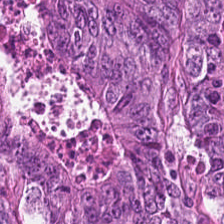Stain: hematoxylin-and-eosin stained section.
Predominant tissue: malignant epithelium.
